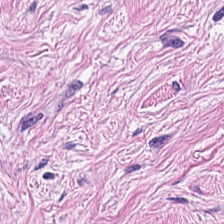Stain: H&E-stained tissue section.
Predominant tissue: tumor stroma.
